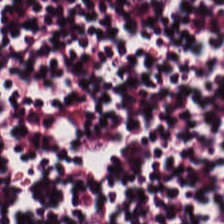The predominant tissue is lymphoid infiltrate.
